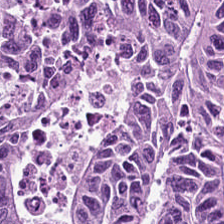H&E-stained tissue section — The classification is tumor epithelium.
